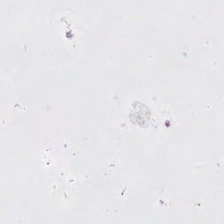Hematoxylin-and-eosin stained section.
Field content = empty background.
